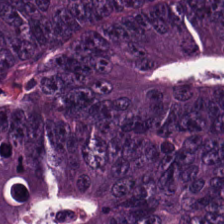H&E stain. Formalin-fixed paraffin-embedded section.
Tissue type = malignant epithelium.
